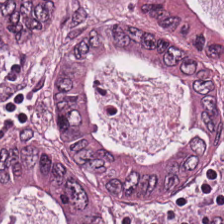0.5 microns per pixel. H&E. {"tissue_type": "adenocarcinoma"}
